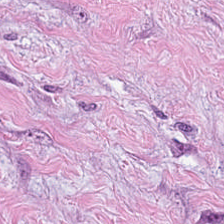Hematoxylin and eosin · FFPE. Desmoplastic stroma.
